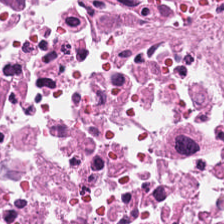Formalin-fixed paraffin-embedded section · hematoxylin and eosin. This patch shows debris.
